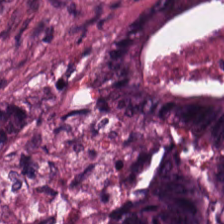Stain: hematoxylin and eosin.
Preparation: formalin-fixed paraffin-embedded section.
Resolution: 0.5 microns per pixel.
Tissue class: adenocarcinoma.
